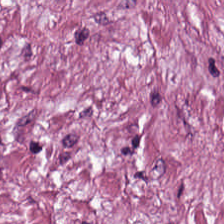H&E patch showing tumor-associated stroma.
